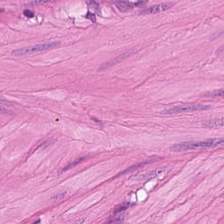H&E-stained tissue section.
Predominant tissue = smooth muscle.
